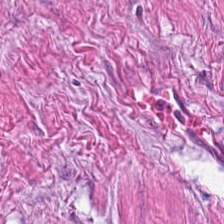Hematoxylin and eosin — Predominantly muscularis.
